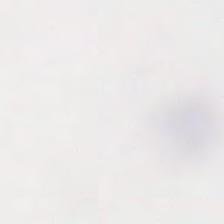Histology — background.
